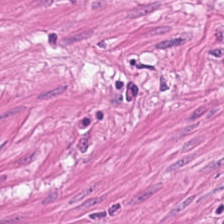Hematoxylin-and-eosin stained section — Q: What tissue type is shown here?
A: The field shows smooth muscle.
